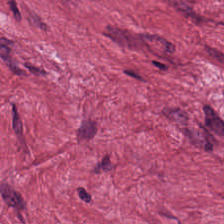FFPE; H&E; 0.5 µm per pixel. Desmoplastic stroma.
